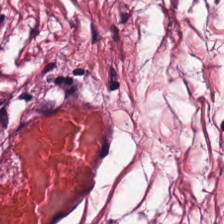Q: Identify the tissue.
A: This is cancer-associated stroma.
